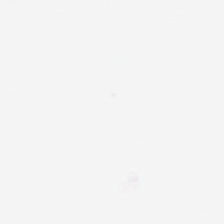Formalin-fixed paraffin-embedded section; H&E stain. Q: What does this patch show?
A: This is no tissue.
